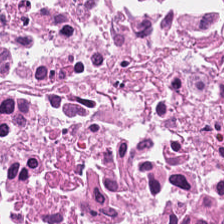{"tissue_type": "necrotic debris"}
